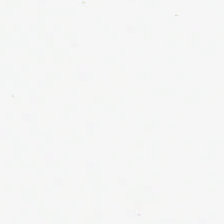H&E stain — Empty field — background.
